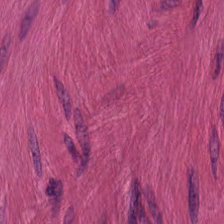Stain: H&E stain.
Acquisition: brightfield.
Tissue: smooth-muscle tissue.
